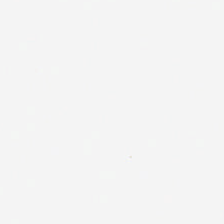Content = background.
